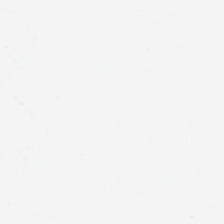Hematoxylin-and-eosin stained section. 20× equivalent magnification.
This patch shows background (no tissue).
